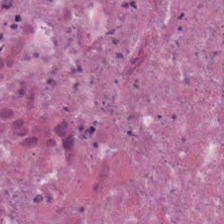H&E-stained tissue section. Tissue class = debris.
